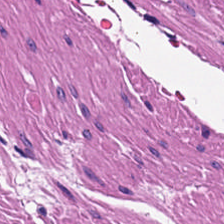224×224 px tile · hematoxylin and eosin.
Tissue type — smooth-muscle tissue.
